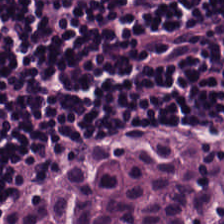Hematoxylin and eosin. Impression → lymphocytes.
